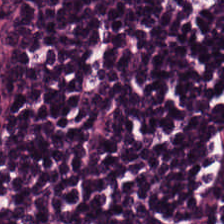Whole-slide-image patch; H&E stain. Predominantly lymphocyte aggregate.
